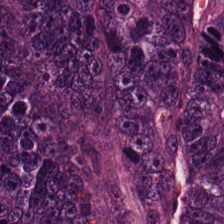H&E stain — Q: What is shown in this field?
A: It is adenocarcinoma.
